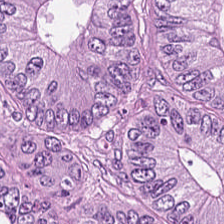Hematoxylin-and-eosin stained section — Histology → colorectal adenocarcinoma epithelium.
